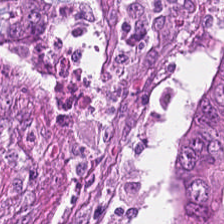H&E stain.
Colorectal adenocarcinoma epithelium.
